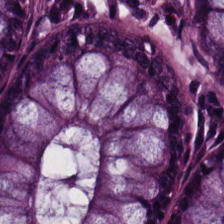H&E-stained tissue section.
Impression → normal colon mucosa.
